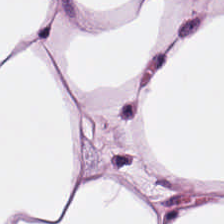Q: What does this patch show?
A: The field shows fat tissue.
